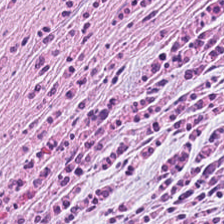H&E-stained section; the field shows cancer-associated stroma.
